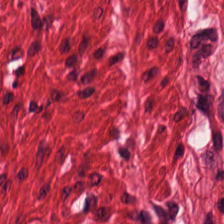{"tissue_type": "smooth-muscle tissue"}
